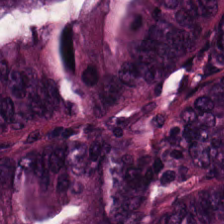H&E stain.
Tissue = colorectal adenocarcinoma.
